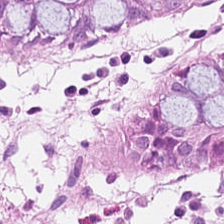H&E-stained tissue section.
Histology → benign colonic mucosa.
